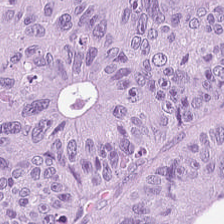Hematoxylin-and-eosin stained section.
Predominant tissue — tumor epithelium.
